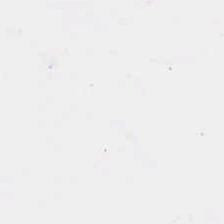224×224 pixel tile; hematoxylin and eosin.
Content: background (no tissue).
